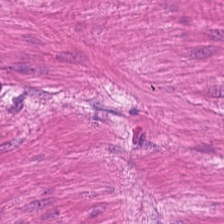Stain: H&E stain.
Tissue: smooth-muscle tissue.
